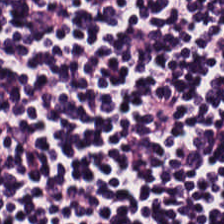H&E-stained tissue section — Lymphoid infiltrate.
